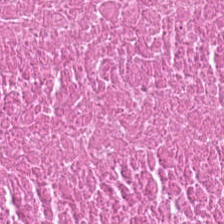Q: What tissue is shown?
A: Cellular debris.
